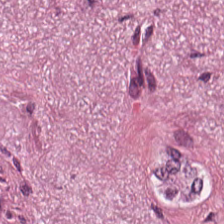Stain: H&E stain.
Predominant tissue: tumor stroma.
